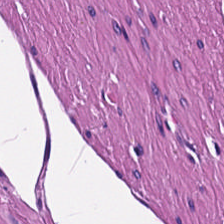224×224 px patch · hematoxylin and eosin — Q: What is shown in this field?
A: It is muscularis.
